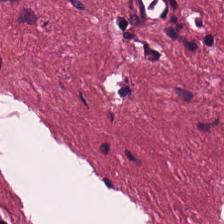Hematoxylin and eosin; brightfield microscopy; 0.5 microns per pixel. This field is tumor-associated stroma.
